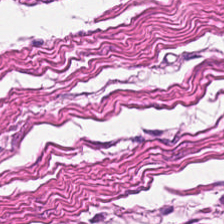H&E-stained tissue section — Predominant tissue = smooth muscle.
